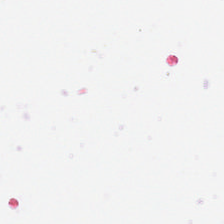Classification = empty background.
